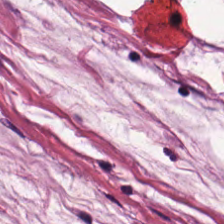224×224 px patch · H&E.
Classification = mucin.
